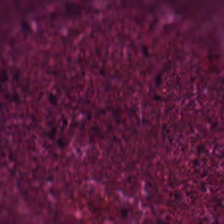FFPE tissue section · brightfield · H&E. Q: What type of tissue is this?
A: This is cellular debris.
